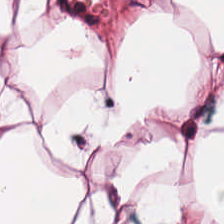Brightfield · H&E stain · 0.5 µm/px. The tissue here is adipose.
